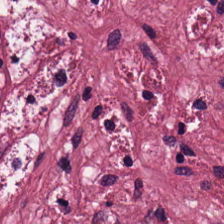H&E-stained tissue section — Predominantly tumor stroma.
